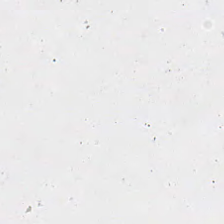Empty field — no tissue.
